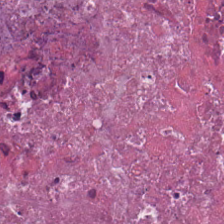H&E. Histology → cellular debris.
